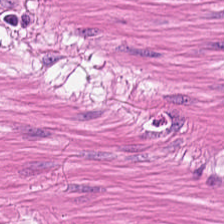Stain: H&E.
Tissue: muscularis.
